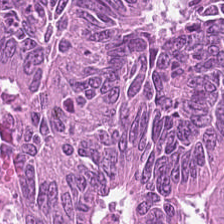Histology → tumor epithelium.
